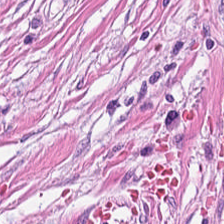Q: What tissue type is shown here?
A: This is desmoplastic stroma.
